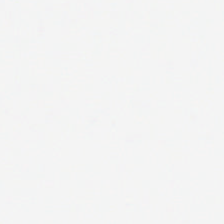The classification is background.
